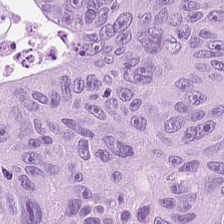H&E stain. Tissue type — adenocarcinoma.
